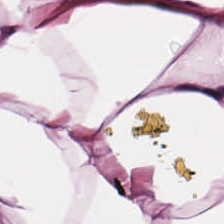20× equivalent magnification; brightfield; H&E stain — Impression — fat tissue.
